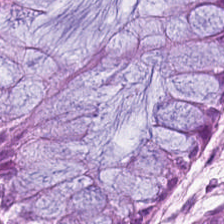224×224 pixel tile; H&E-stained tissue section; FFPE.
{"tissue_type": "non-neoplastic colon mucosa"}
